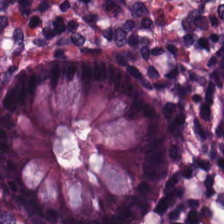WSI patch · hematoxylin-and-eosin stained section · 224×224 pixel tile. This patch shows normal colon mucosa.
